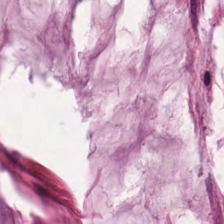H&E-stained tissue section. The predominant tissue is mucus.
